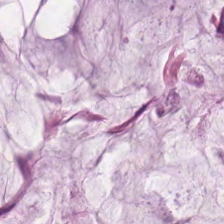Finding — mucus.
